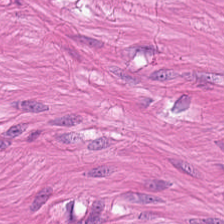Hematoxylin and eosin; 224×224 px tile — Predominantly smooth-muscle tissue.
